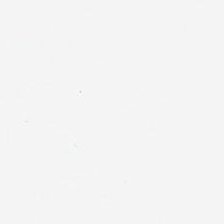Whole-slide-image patch · hematoxylin and eosin · 20× equivalent magnification. The classification is no tissue.
